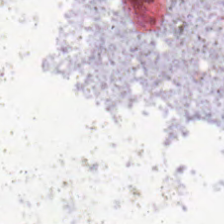Hematoxylin-and-eosin stained section. Classification — no tissue.
